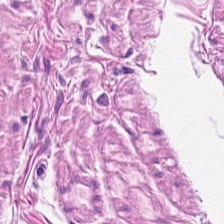0.5 µm per pixel · hematoxylin and eosin · brightfield microscopy — Smooth muscle.
